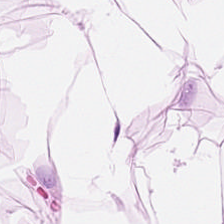H&E-stained tissue section — This field is fat tissue.
